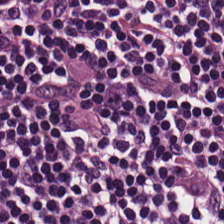20× equivalent magnification · H&E. The tissue class is lymphocytic infiltrate.
